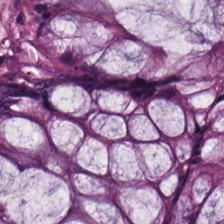H&E.
Tissue type = normal colonic mucosa.
